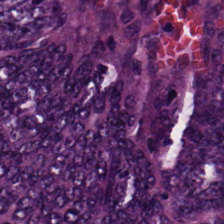H&E — Predominantly colorectal adenocarcinoma epithelium.
